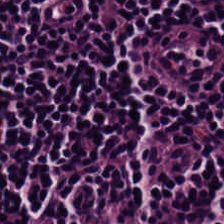Tissue type: lymphocytes.
